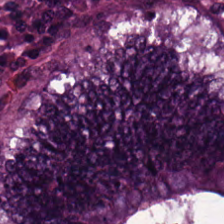Formalin-fixed paraffin-embedded section · H&E-stained tissue section · 0.5 µm per pixel. Q: What is the predominant tissue type?
A: This is adenocarcinoma.
